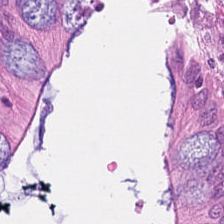Hematoxylin-and-eosin stained section. Q: What tissue type is shown here?
A: Normal colonic mucosa.
